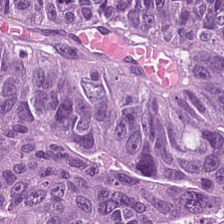224×224 px patch; brightfield; H&E stain.
This patch shows malignant epithelium.
